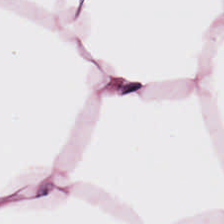Hematoxylin-and-eosin section: adipocytes.
